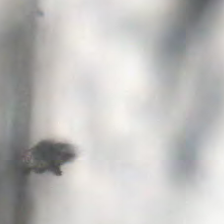Q: What is shown here?
A: This is background.
